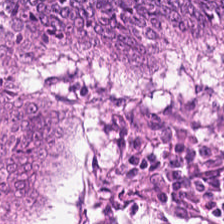H&E.
The predominant tissue is adenocarcinoma.
